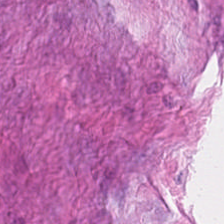224×224 px patch · H&E stain. The tissue class is cancer-associated stroma.
